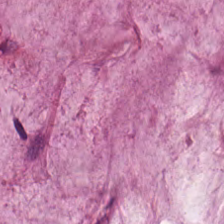Hematoxylin and eosin.
Predominant tissue = extracellular mucin.
